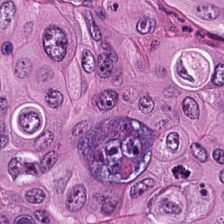Stain: H&E-stained tissue section.
Acquisition: brightfield microscopy.
Tissue class: colorectal adenocarcinoma.
